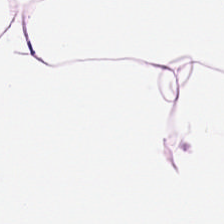H&E — Histology — fat tissue.
